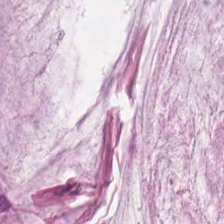Hematoxylin-and-eosin stained section; whole-slide-image patch.
Tissue class — mucin.
